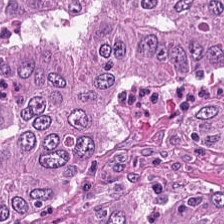Formalin-fixed paraffin-embedded section. Brightfield. Hematoxylin-and-eosin stained section. Showing colorectal adenocarcinoma epithelium.
